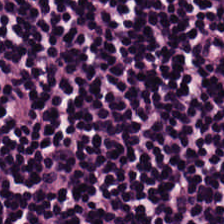Hematoxylin-and-eosin stained section.
Q: Classify this patch.
A: This is lymphocytes.
